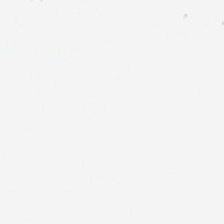20× equivalent magnification · H&E stain. Background.
